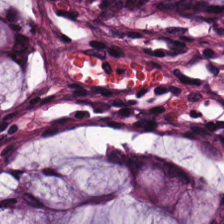Stain: H&E.
Acquisition: brightfield.
Predominant tissue: normal colon mucosa.
